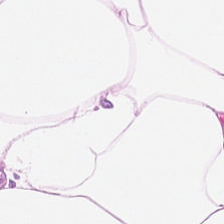Hematoxylin-and-eosin stained section — Adipose tissue.
